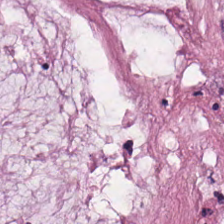Q: What tissue is shown?
A: It is extracellular mucin.
